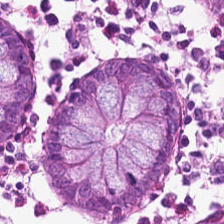This patch shows benign colonic mucosa.
